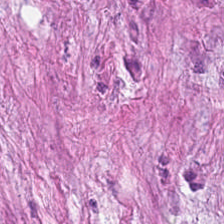Hematoxylin and eosin. Formalin-fixed paraffin-embedded section. 0.5 µm/px. Tissue type — tumor-associated stroma.
